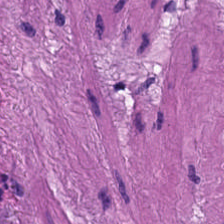H&E — Showing muscularis.
